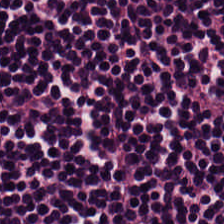Hematoxylin and eosin. Histology — lymphocytic infiltrate.
